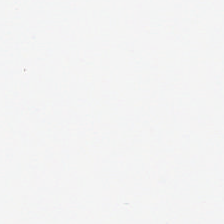Brightfield microscopy · H&E-stained tissue section.
This field is background (no tissue).
